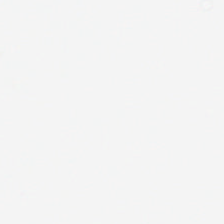Hematoxylin and eosin. Classification = background.
